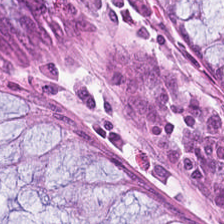Hematoxylin-and-eosin section: non-neoplastic colon mucosa.
